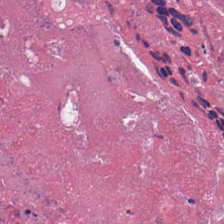Classification — debris.
